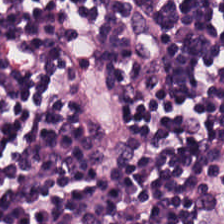H&E-stained tissue section. The predominant tissue is lymphoid infiltrate.
